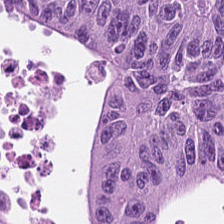FFPE; H&E; 224×224 pixel tile. Predominantly colorectal adenocarcinoma epithelium.
